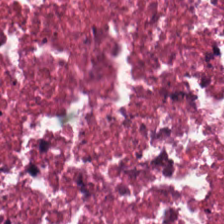Finding — cellular debris.
